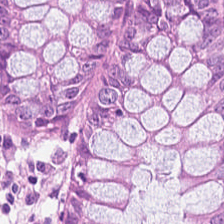H&E; FFPE; brightfield microscopy — The classification is benign colonic mucosa.
